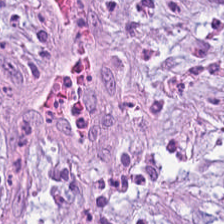H&E · FFPE. {"tissue_type": "cancer-associated stroma"}
